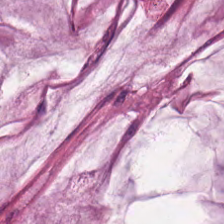Classification — mucus.
